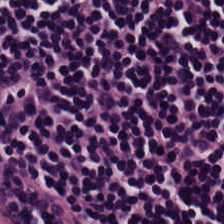Histology → lymphoid infiltrate.
